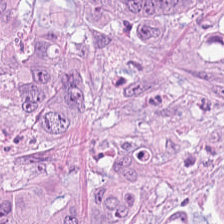Showing colorectal adenocarcinoma epithelium.
